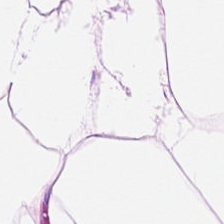H&E.
Adipose tissue.
